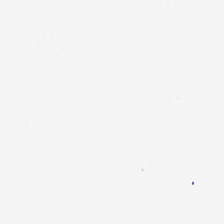Q: What does this patch show?
A: The field shows background (no tissue).
